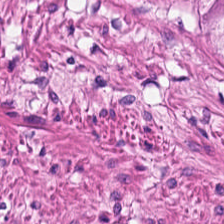Stain: hematoxylin-and-eosin stained section.
Preparation: formalin-fixed paraffin-embedded section.
Acquisition: whole-slide-image patch.
Predominant tissue: smooth muscle.
